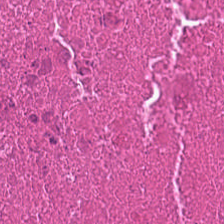H&E stain. Histology → necrotic debris.
